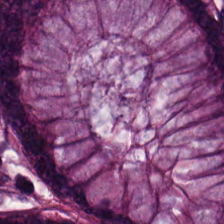H&E stain. Brightfield microscopy. Predominant tissue — normal colon mucosa.
